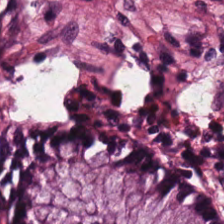FFPE · hematoxylin and eosin. Impression — normal colon mucosa.
